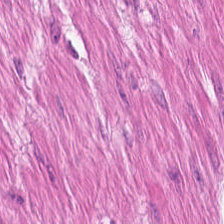This patch shows smooth muscle.
